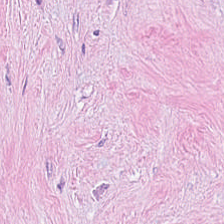Brightfield · hematoxylin-and-eosin stained section.
Impression — cancer-associated stroma.
